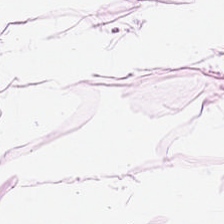Hematoxylin-and-eosin stained section. 224×224 px tile.
Tissue: adipocytes.
